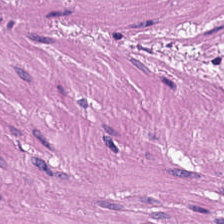H&E — {"tissue_type": "muscularis"}
